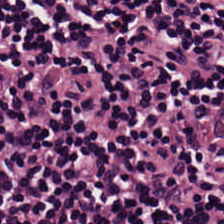H&E stain. Tissue class: lymphocyte aggregate.
